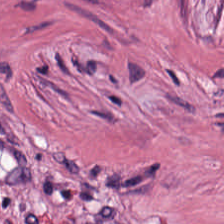Tumor-associated stroma.
